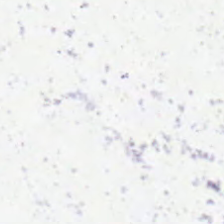224×224 px patch; H&E-stained tissue section — Field content: no tissue.
